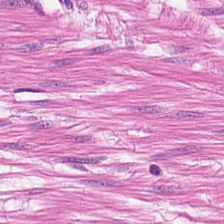Q: What is the predominant tissue type?
A: This is smooth-muscle tissue.
